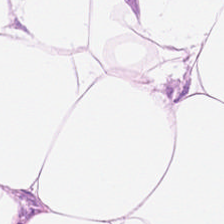Fat tissue.
